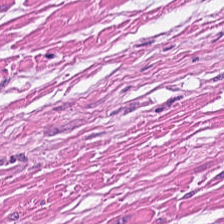H&E.
Predominantly smooth muscle.
